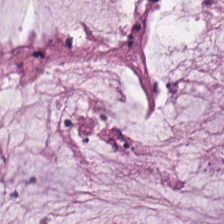FFPE tissue section. H&E-stained tissue section. Impression — mucus.
